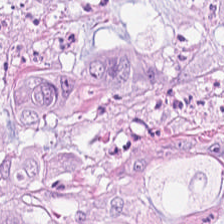H&E stain; 0.5 µm per pixel.
Colorectal adenocarcinoma.
